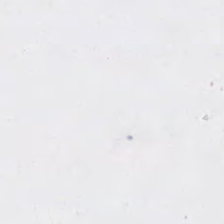The content is empty background.
